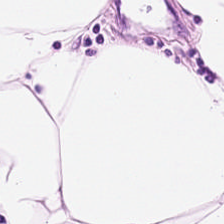H&E · WSI patch. Q: What is shown here?
A: It is fat tissue.
